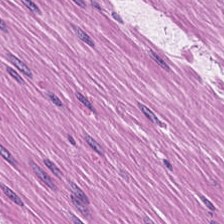Hematoxylin and eosin. Q: What tissue is shown?
A: The field shows muscularis.
